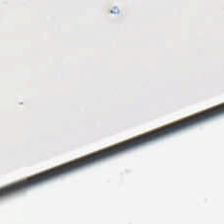FFPE tissue section. H&E.
Content: background.
